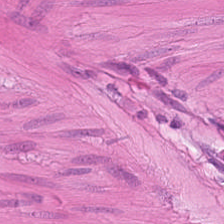Predominant tissue — smooth-muscle tissue.
